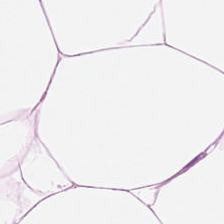H&E; brightfield — Adipose.
